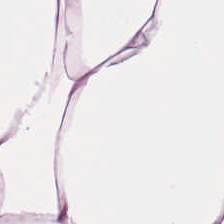Stain: H&E stain.
Tissue type: fat tissue.
